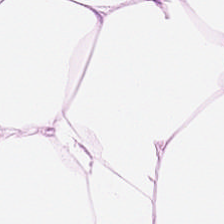H&E-stained tissue section. WSI patch.
Q: Identify the tissue.
A: Adipose.
